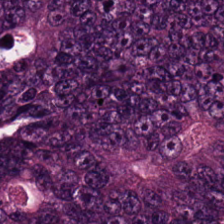H&E — malignant epithelium.
